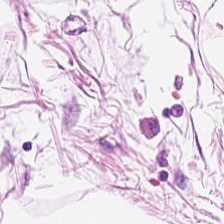Impression → adipose.
